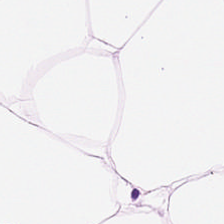H&E — The tissue type is adipocytes.
